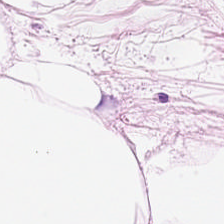Hematoxylin-and-eosin stained section.
Impression — adipose.
